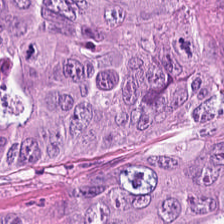Tissue = malignant epithelium.
